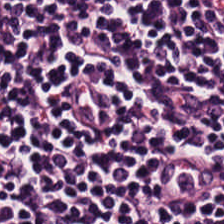Hematoxylin and eosin — Histology — lymphocytic infiltrate.
